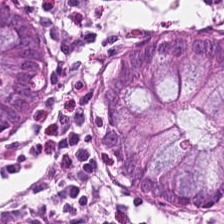Stain: H&E.
Preparation: formalin-fixed paraffin-embedded section.
Predominant tissue: normal colon mucosa.
